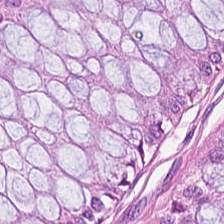Q: Classify this patch.
A: It is normal colonic mucosa.
